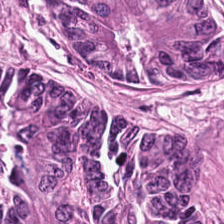H&E-stained tissue section. Q: Classify this patch.
A: It is adenocarcinoma.
